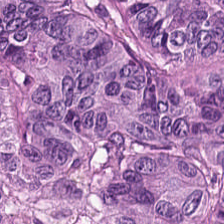Q: What is the predominant tissue type?
A: This is tumor epithelium.
